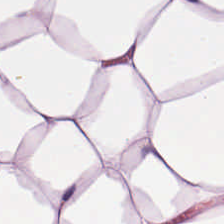H&E-stained tissue section — Q: What tissue is shown?
A: This is adipocytes.
